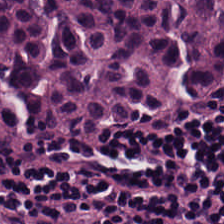The predominant tissue is lymphocytic infiltrate.
